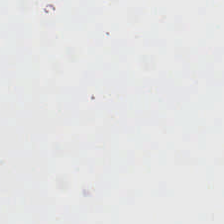H&E stain · FFPE. This patch shows empty background.
